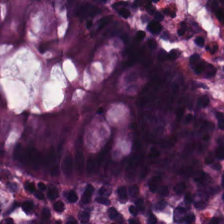Hematoxylin-and-eosin stained section · brightfield — The tissue type is normal colon mucosa.
